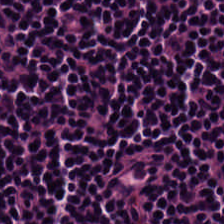Finding → lymphoid infiltrate.
